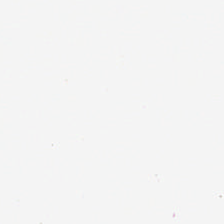H&E — Content — no tissue.
